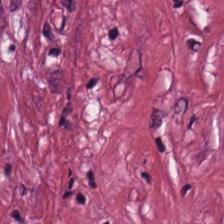H&E — This field is tumor-associated stroma.
